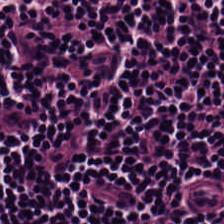20× equivalent magnification. Hematoxylin and eosin.
Q: Classify this patch.
A: It is lymphocytic infiltrate.
